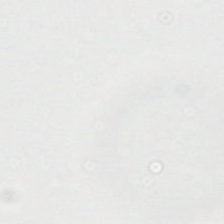H&E. No tissue present; background only.
